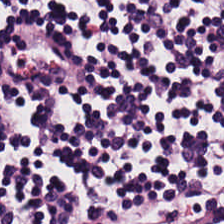Hematoxylin and eosin — Predominantly lymphoid infiltrate.
